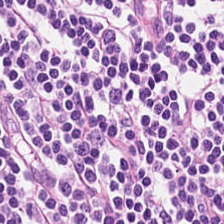Formalin-fixed paraffin-embedded section; 0.5 microns per pixel; H&E stain.
The predominant tissue is lymphocytes.
